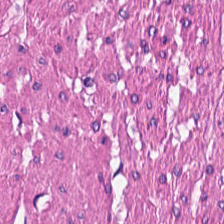Hematoxylin-and-eosin stained section. Finding → muscularis.
